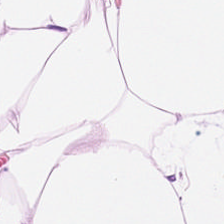Hematoxylin-and-eosin stained section · whole-slide-image patch — Q: What tissue type is shown here?
A: It is adipose.
